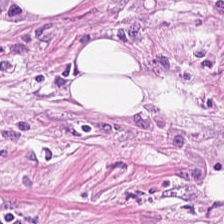Hematoxylin and eosin. Tissue type = tumor-associated stroma.
